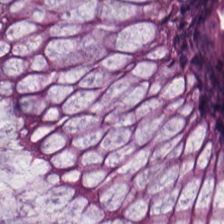H&E. 224×224 px patch.
This patch shows benign colonic mucosa.
